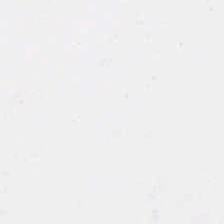Content = empty background.
